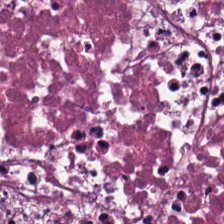Q: What tissue is shown?
A: Necrotic debris.
